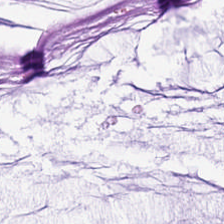Stain: hematoxylin-and-eosin stained section.
Acquisition: brightfield microscopy.
Resolution: 0.5 microns per pixel.
Tissue type: extracellular mucin.
